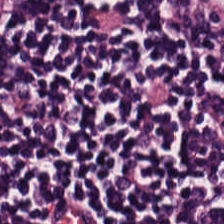H&E-stained tissue section — Classification: lymphocytes.
